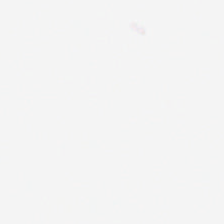Hematoxylin and eosin. {"content": "no tissue"}
